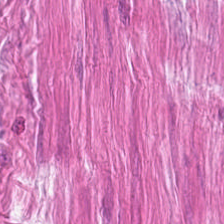Stain: hematoxylin and eosin.
Acquisition: whole-slide-image patch.
Tissue class: smooth muscle.
